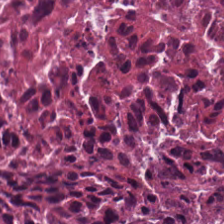H&E stain. The tissue here is necrotic debris.
